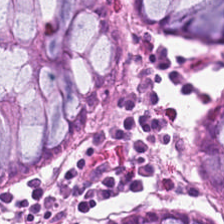H&E stain.
{"tissue_type": "non-neoplastic colon mucosa"}
